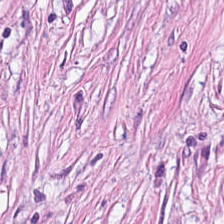H&E.
Showing tumor stroma.
